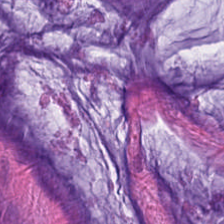This patch shows mucus.
